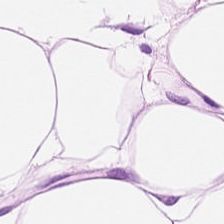Hematoxylin and eosin.
Q: What does this patch show?
A: This is adipocytes.
